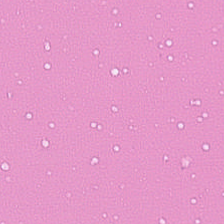H&E-stained tissue section.
Tissue class — cellular debris.
